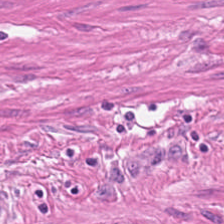WSI patch · hematoxylin and eosin · 0.5 µm per pixel.
Tissue: smooth-muscle tissue.
